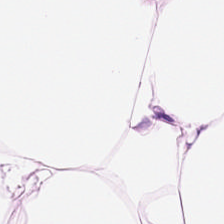H&E-stained section; the field shows fat tissue.
